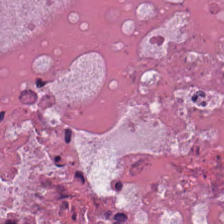Brightfield microscopy · H&E-stained tissue section — {"tissue_type": "debris"}
